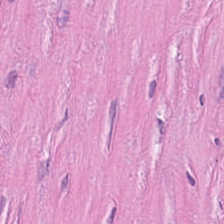Showing desmoplastic stroma.
